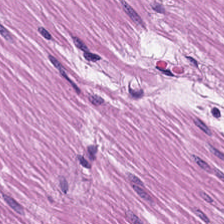H&E stain; FFPE.
This patch shows smooth-muscle tissue.
